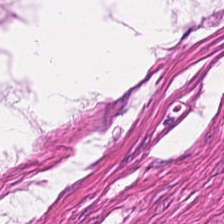H&E-stained tissue section.
This patch shows muscularis.
